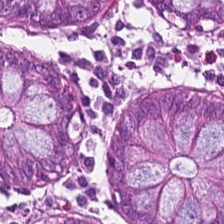H&E-stained tissue section.
The predominant tissue is benign colonic mucosa.
